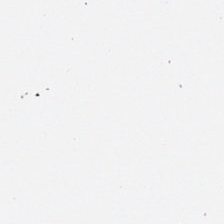Stain: hematoxylin and eosin.
Classification: empty background.
